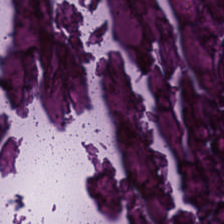H&E. Q: What tissue is shown?
A: Debris.
